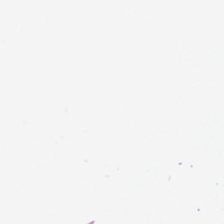H&E-stained tissue section — This patch shows background (no tissue).
